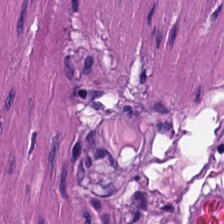Hematoxylin-and-eosin stained section — The tissue is smooth muscle.
